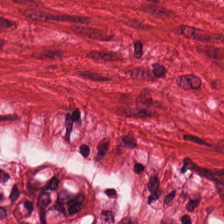0.5 µm/px; H&E stain — The predominant tissue is muscularis.
